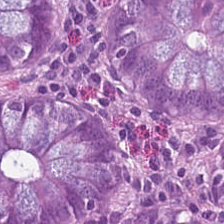H&E. The predominant tissue is normal colon mucosa.
